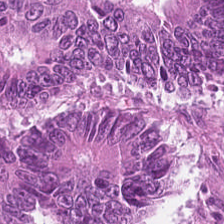H&E-stained tissue section. FFPE. Tissue class — malignant epithelium.
